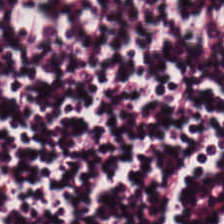Hematoxylin-and-eosin stained section. Q: What does this patch show?
A: Lymphocyte aggregate.
